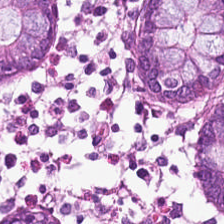H&E-stained tissue section — The tissue here is normal colon mucosa.
